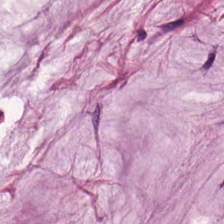H&E stain. Showing mucus.
